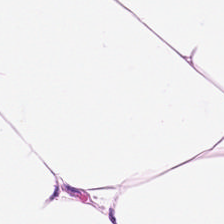224×224 pixel tile. Hematoxylin and eosin — {"tissue_type": "fat tissue"}
